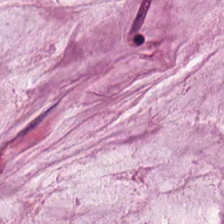WSI patch. H&E-stained tissue section. 224×224 px tile — Q: What tissue is shown?
A: Mucin.
